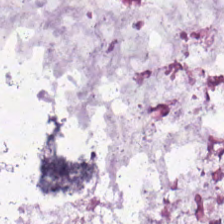Hematoxylin and eosin. Q: What is the predominant tissue type?
A: This is mucus.
